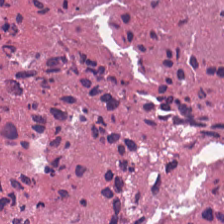The classification is necrotic debris.
